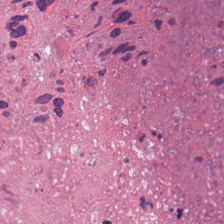H&E-stained tissue section · 224×224 px tile · whole-slide-image patch. The tissue class is cellular debris.
